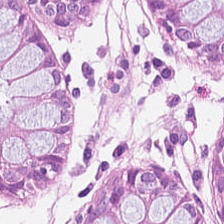H&E. Impression — benign colonic mucosa.
